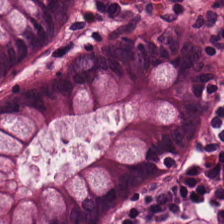Stain: H&E stain.
Classification: non-neoplastic colon mucosa.
